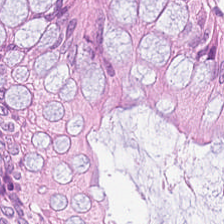H&E — Tissue: benign colonic mucosa.
